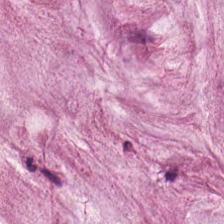224×224 pixel tile. Hematoxylin-and-eosin stained section — Impression — mucus.
